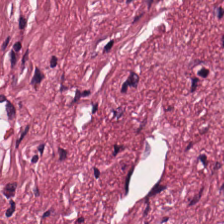H&E-stained tissue section. 0.5 µm per pixel. Q: What is the predominant tissue type?
A: This is desmoplastic stroma.
